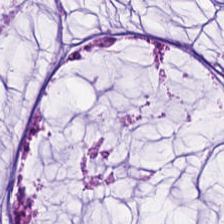H&E stain. 0.5 µm/px. FFPE. The classification is extracellular mucin.
